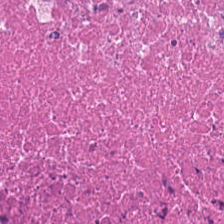Hematoxylin-and-eosin stained section · FFPE tissue section — Showing necrotic debris.
